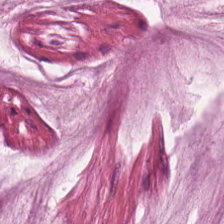H&E · FFPE tissue section · whole-slide-image patch.
Q: What tissue is shown?
A: The field shows extracellular mucin.
